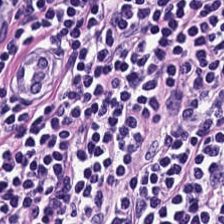0.5 microns per pixel. Hematoxylin and eosin.
Showing lymphocyte aggregate.
